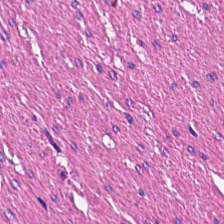H&E stain. This patch shows smooth-muscle tissue.
